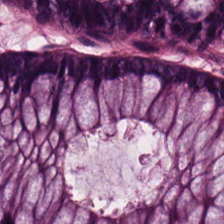H&E — The tissue type is normal colonic mucosa.
